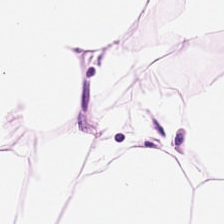FFPE; H&E — {"tissue_type": "adipose tissue"}
